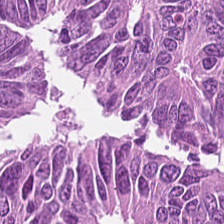H&E · formalin-fixed paraffin-embedded section · 224×224 px patch. Q: What tissue type is shown here?
A: The field shows colorectal adenocarcinoma epithelium.
